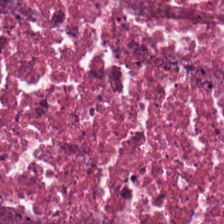{"tissue_type": "necrotic debris"}
